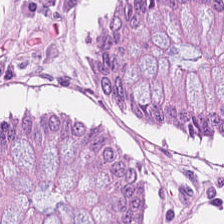H&E-stained tissue section. The tissue class is non-neoplastic colon mucosa.
